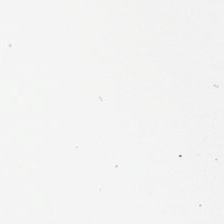Stain: H&E.
Acquisition: brightfield.
Classification: background.
